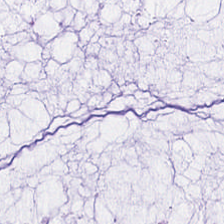H&E stain — Histology — extracellular mucin.
